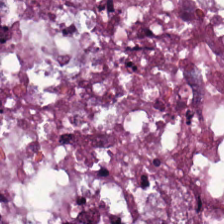Hematoxylin-and-eosin stained section.
Predominant tissue: colorectal adenocarcinoma.
